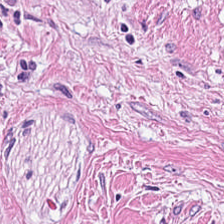H&E — Cancer-associated stroma.
